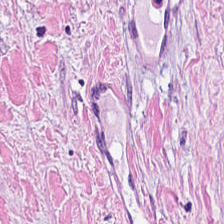Stain: H&E stain.
Predominant tissue: desmoplastic stroma.
